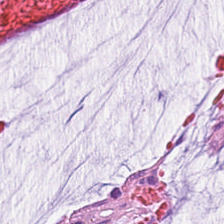Hematoxylin and eosin — Extracellular mucin.
